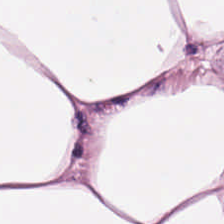H&E-stained tissue section. 224×224 px tile — Finding — adipose.
